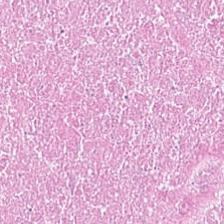This patch shows cellular debris.
